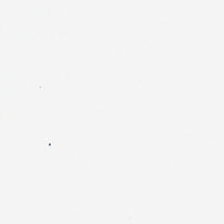H&E stain. Content = no tissue.
